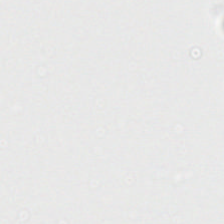Hematoxylin and eosin.
Empty field — empty background.
